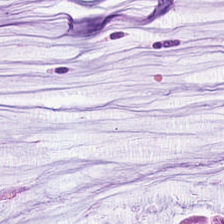The tissue type is mucus.
